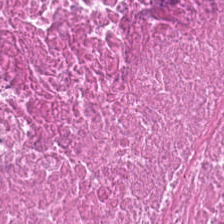The tissue type is cellular debris.
